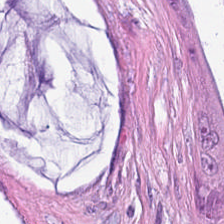Q: What tissue type is shown here?
A: It is mucus.
